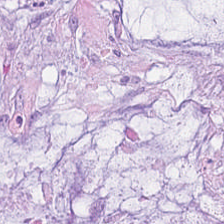20× equivalent magnification; H&E; 224×224 pixel tile. The tissue type is extracellular mucin.
